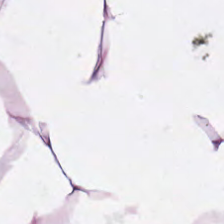H&E-stained tissue section.
Adipose.
